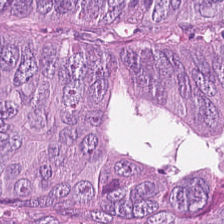Stain: H&E.
Classification: tumor epithelium.
